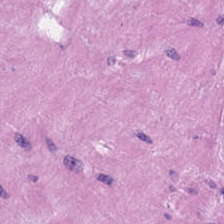Tissue type = muscularis.
